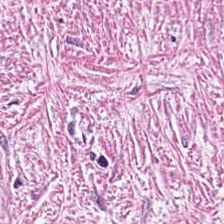{"tissue_type": "tumor-associated stroma"}
